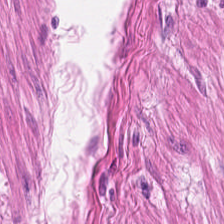H&E · brightfield microscopy · 0.5 microns per pixel — The tissue here is smooth muscle.
